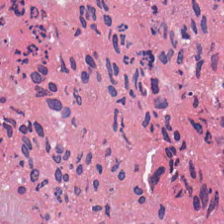Hematoxylin-and-eosin stained section — {"tissue_type": "cellular debris"}
